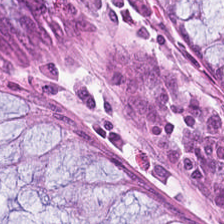Hematoxylin and eosin. Q: What tissue is shown?
A: The field shows non-neoplastic colon mucosa.
